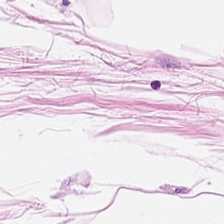Stain: H&E.
Classification: adipose.
